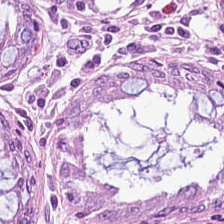FFPE tissue section · hematoxylin and eosin · whole-slide-image patch.
Predominantly benign colonic mucosa.
